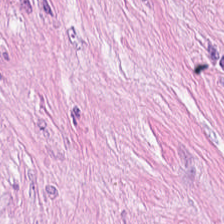Whole-slide-image patch · H&E stain · 224×224 pixel tile. Q: What is shown here?
A: This is tumor stroma.
